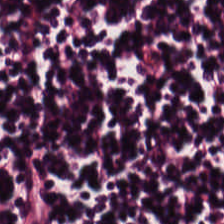Q: What tissue is shown?
A: This is lymphocyte aggregate.
